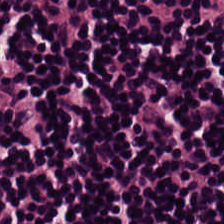H&E — Predominant tissue = lymphocyte aggregate.
